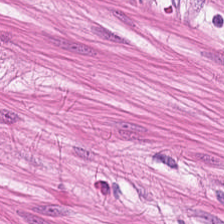0.5 µm per pixel; 224×224 px patch; hematoxylin and eosin.
Predominantly smooth muscle.
